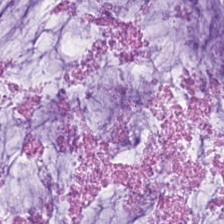Stain: H&E-stained tissue section.
Preparation: FFPE tissue section.
Tissue: extracellular mucin.
